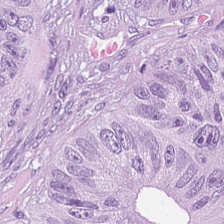H&E. The tissue is tumor epithelium.
